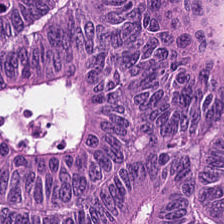H&E patch showing adenocarcinoma.
